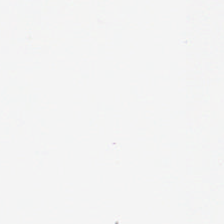Hematoxylin and eosin — Q: Classify this patch.
A: Background (no tissue).
